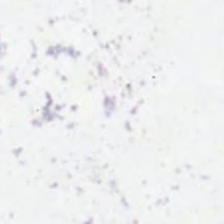The content is background (no tissue).
